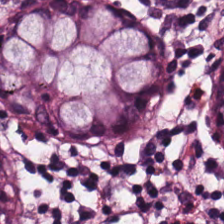H&E · WSI patch — Predominant tissue = normal colonic mucosa.
